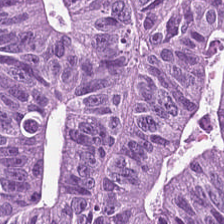Q: What is shown in this field?
A: This is tumor epithelium.
